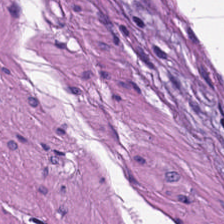FFPE; H&E-stained tissue section; 20× equivalent magnification — Classification: smooth muscle.
